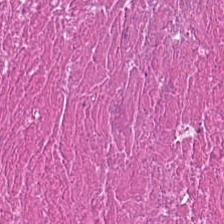H&E stain.
Predominantly debris.
